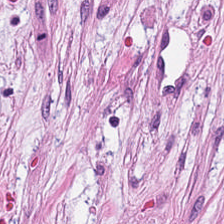Hematoxylin-and-eosin stained section · FFPE. Classification: tumor-associated stroma.
